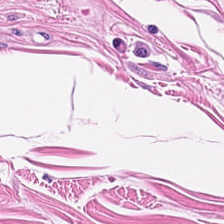Hematoxylin-and-eosin stained section — This field is smooth-muscle tissue.
